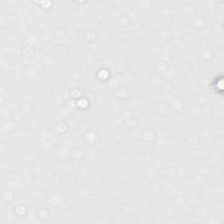Hematoxylin-and-eosin stained section. Field content = background.
